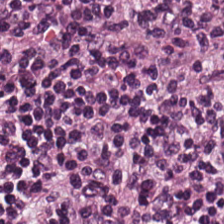Stain: H&E.
Acquisition: brightfield microscopy.
Classification: lymphocytes.
